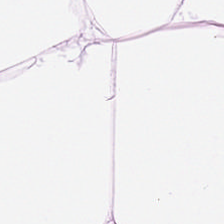Predominantly adipose tissue.
